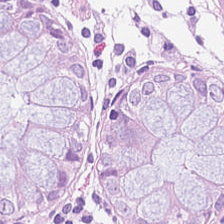Hematoxylin-and-eosin stained section. Showing normal colonic mucosa.
